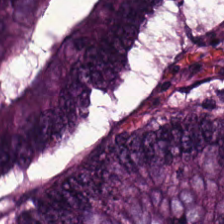H&E-stained tissue section · 224×224 px patch. Predominant tissue = colorectal adenocarcinoma epithelium.
